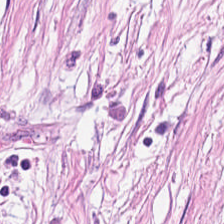Stain: hematoxylin and eosin.
Classification: desmoplastic stroma.
